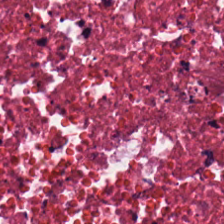H&E stain.
The tissue here is necrotic debris.
